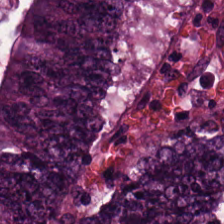224×224 px tile · H&E stain · FFPE tissue section.
Tissue type — tumor epithelium.
